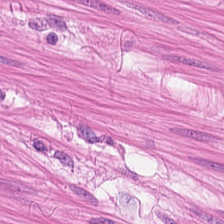Hematoxylin-and-eosin stained section. Predominantly muscularis.
